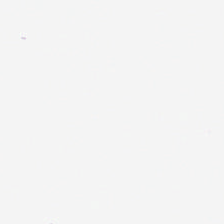Empty field — background (no tissue).
